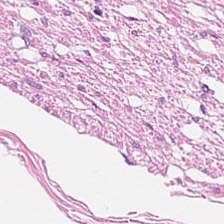Hematoxylin-and-eosin stained section — Histology → smooth-muscle tissue.
